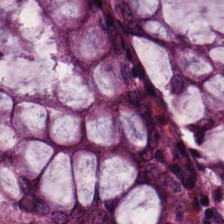Hematoxylin-and-eosin stained section.
The tissue here is normal colonic mucosa.
